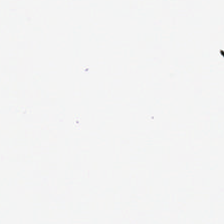This patch shows background (no tissue).
